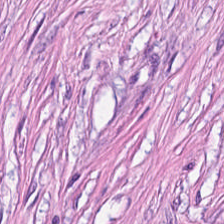224×224 px patch; H&E-stained tissue section. Tissue class — tumor-associated stroma.
